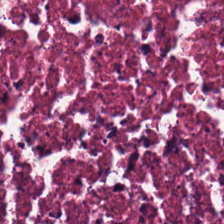WSI patch. H&E-stained tissue section.
Predominantly debris.
